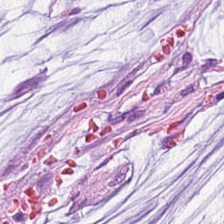H&E-stained tissue section — The classification is mucus.
